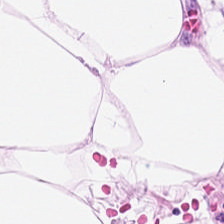Hematoxylin-and-eosin stained section — Finding → fat tissue.
